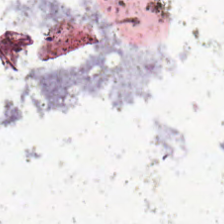H&E-stained tissue section · FFPE tissue section · 20× equivalent magnification.
The field content is empty background.
